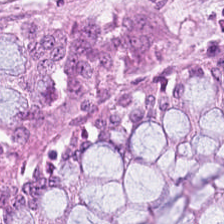Hematoxylin and eosin. Predominant tissue — normal colon mucosa.
